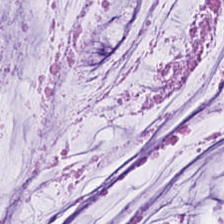H&E.
Predominant tissue = mucin.
